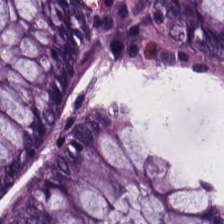Tissue type: normal colon mucosa.
